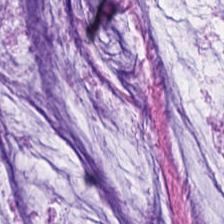This field is mucin.
